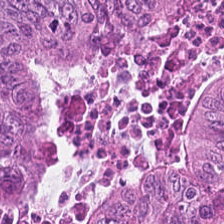Stain: hematoxylin-and-eosin stained section.
Predominant tissue: malignant epithelium.
